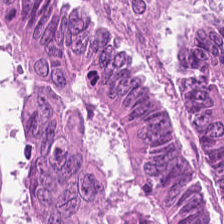H&E. The classification is adenocarcinoma.
